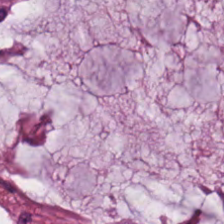0.5 µm/px · H&E-stained tissue section. Showing mucus.
